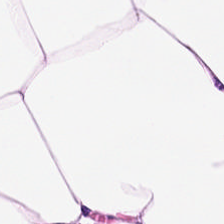Q: Classify this patch.
A: The field shows adipose tissue.
